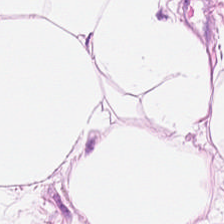Stain: hematoxylin and eosin.
Tissue type: adipose.
